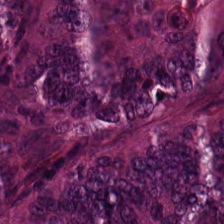H&E-stained tissue section.
This field is adenocarcinoma.
